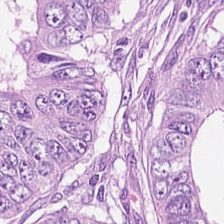Hematoxylin and eosin — Predominantly colorectal adenocarcinoma epithelium.
